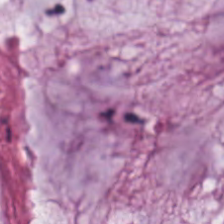Hematoxylin and eosin.
The tissue is extracellular mucin.
